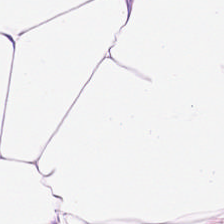Q: What is shown in this field?
A: It is adipose tissue.
